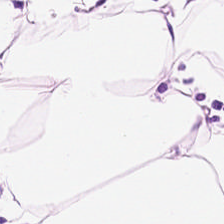H&E stain; whole-slide-image patch. Q: What is shown here?
A: Adipose.
